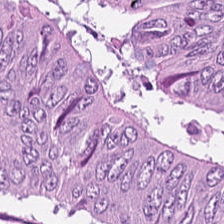20× equivalent magnification · hematoxylin-and-eosin stained section.
The predominant tissue is adenocarcinoma.
